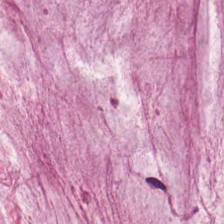Q: What type of tissue is this?
A: Mucus.
